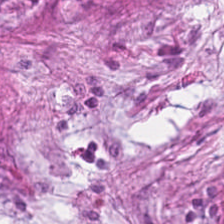The tissue is desmoplastic stroma.
